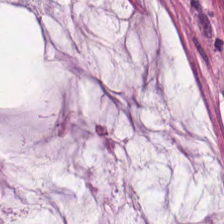Stain: H&E-stained tissue section.
Tissue: mucus.
